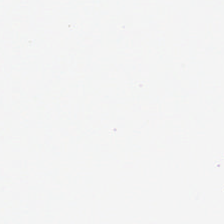Q: Classify this patch.
A: It is background.
